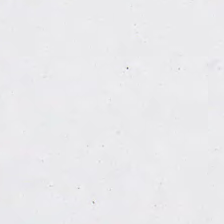H&E stain · formalin-fixed paraffin-embedded section — Background — no tissue in this field.
